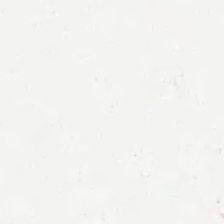FFPE. Whole-slide-image patch. Hematoxylin-and-eosin stained section.
Classification: no tissue.
